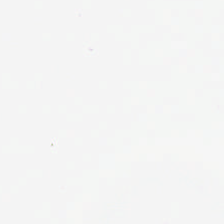Hematoxylin and eosin.
Histology → background (no tissue).
